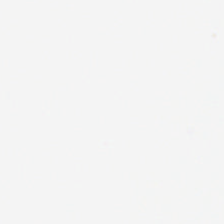Hematoxylin and eosin. WSI patch — Impression — background.
